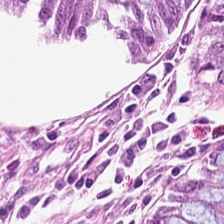Hematoxylin-and-eosin stained section. The tissue here is normal colon mucosa.
